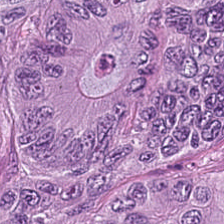H&E stain — Predominant tissue = malignant epithelium.
